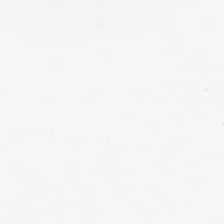Hematoxylin-and-eosin stained section. The field content is empty background.
